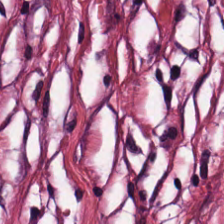Q: What type of tissue is this?
A: The field shows tumor-associated stroma.
